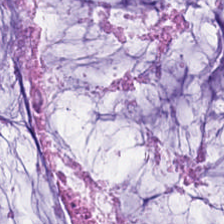H&E-stained tissue section.
Q: What tissue is shown?
A: It is extracellular mucin.
